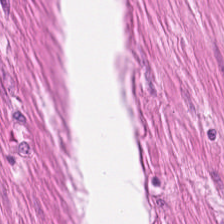H&E-stained tissue section; 224×224 pixel tile; 0.5 microns per pixel.
Predominantly smooth-muscle tissue.
